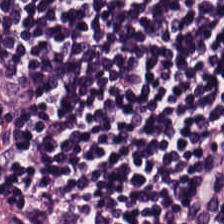H&E-stained tissue section showing lymphocytes.
